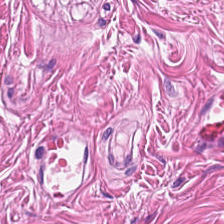H&E-stained tissue section — Q: What is shown here?
A: Smooth muscle.
